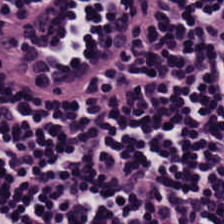H&E stain; whole-slide-image patch; 224×224 px patch — Q: What is the predominant tissue type?
A: Lymphocytic infiltrate.
